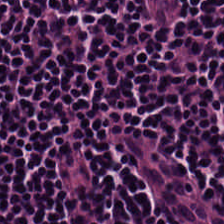Classification — lymphocytes.
